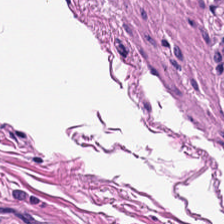H&E patch showing muscularis.
